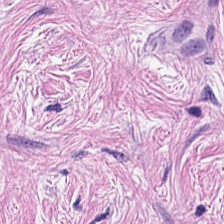Q: What is the predominant tissue type?
A: It is tumor stroma.
